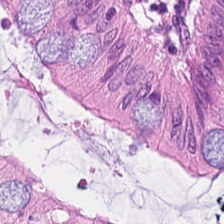H&E-stained tissue section. The tissue here is normal colonic mucosa.
